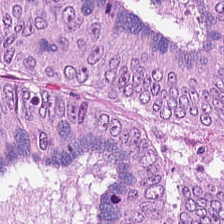H&E stain — Q: What tissue type is shown here?
A: Tumor epithelium.
